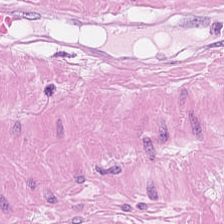FFPE; H&E-stained tissue section. Tissue: smooth muscle.
